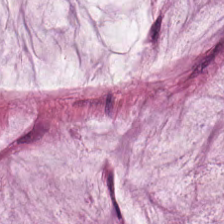Brightfield; FFPE tissue section; H&E-stained tissue section.
Impression — mucus.
